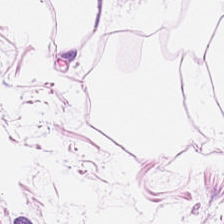H&E stain. 20× equivalent magnification — Histology → adipose tissue.
